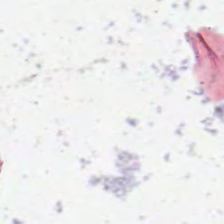224×224 pixel tile. H&E-stained tissue section. FFPE — Background — no tissue in this field.
